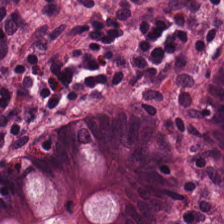Stain: H&E.
Tissue: non-neoplastic colon mucosa.
